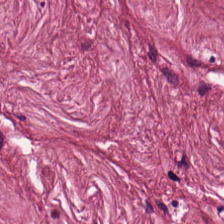H&E-stained tissue section. The tissue here is cancer-associated stroma.
